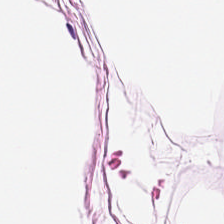This patch shows adipocytes.
